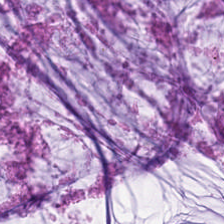Whole-slide-image patch; H&E; 0.5 µm/px.
Q: What type of tissue is this?
A: It is extracellular mucin.
